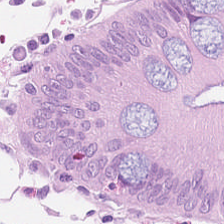{"tissue_type": "non-neoplastic colon mucosa"}
